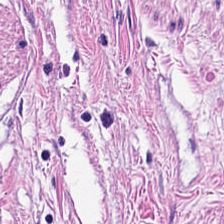H&E stain. Q: What does this patch show?
A: Muscularis.
